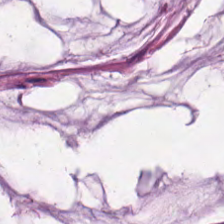Hematoxylin-and-eosin stained section · 0.5 microns per pixel. Predominantly extracellular mucin.
